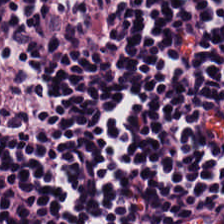0.5 microns per pixel. Hematoxylin and eosin. Q: What is shown here?
A: The field shows lymphoid infiltrate.
